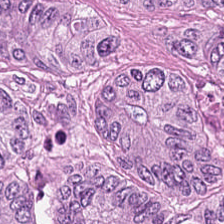Adenocarcinoma.
